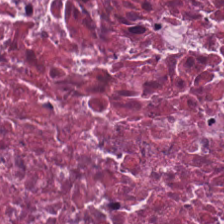H&E stain · 224×224 px tile — {"tissue_type": "cellular debris"}
